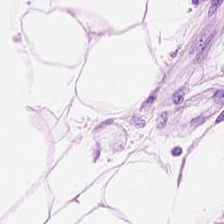{"tissue_type": "adipose"}
